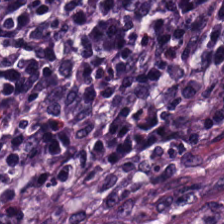Stain: H&E stain.
Tile size: 224×224 px patch.
Resolution: 0.5 µm per pixel.
Classification: lymphocytes.
